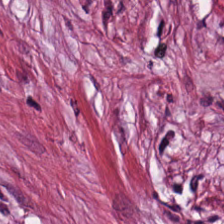Tissue — cancer-associated stroma.
